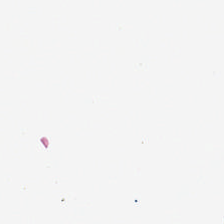H&E stain.
This field is background (no tissue).
